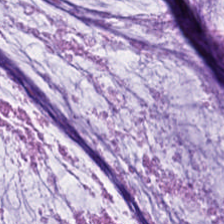Q: What does this patch show?
A: It is mucus.
